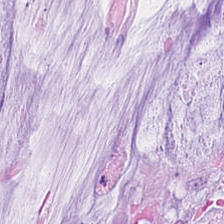H&E patch showing mucin.
